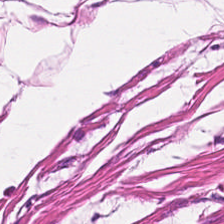224×224 px tile · H&E stain · 20× equivalent magnification.
Predominantly smooth muscle.
